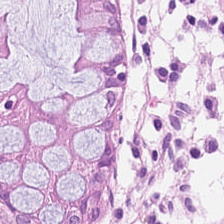Q: What is shown in this field?
A: It is normal colon mucosa.
